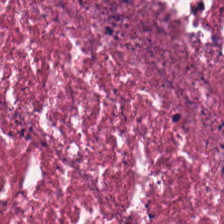Hematoxylin-and-eosin stained section.
Q: What type of tissue is this?
A: Cellular debris.
